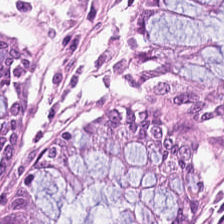H&E. 224×224 pixel tile — Predominantly normal colon mucosa.
